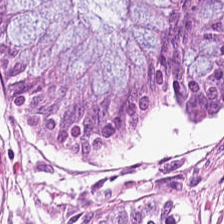Classification: non-neoplastic colon mucosa.
